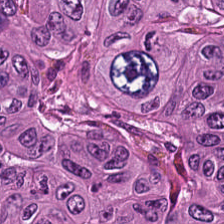H&E stain — Predominant tissue = malignant epithelium.
